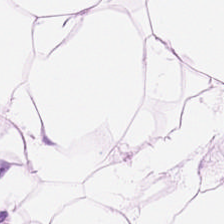Hematoxylin and eosin — Showing fat tissue.
